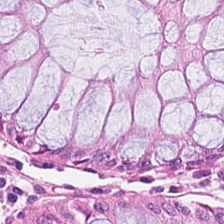Predominantly benign colonic mucosa.
